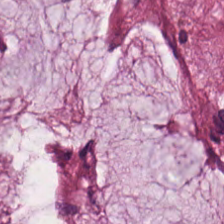H&E. This field is mucus.
